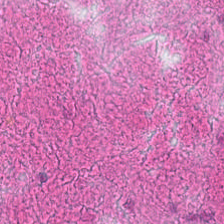H&E — necrotic debris.
